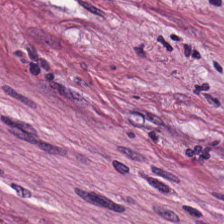FFPE. Whole-slide-image patch. Hematoxylin and eosin.
Q: What is shown here?
A: This is tumor stroma.
